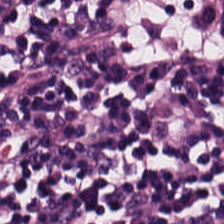Hematoxylin-and-eosin stained section.
Q: Identify the tissue.
A: It is lymphocyte aggregate.
